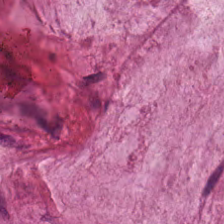Stain: hematoxylin-and-eosin stained section.
Preparation: FFPE tissue section.
Tissue: mucin.
